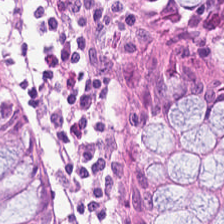0.5 µm per pixel; hematoxylin-and-eosin stained section; 224×224 px patch. The predominant tissue is normal colonic mucosa.
